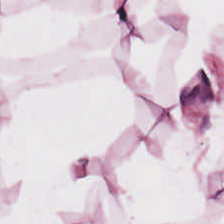Hematoxylin and eosin; 224×224 px patch.
{"tissue_type": "adipocytes"}
